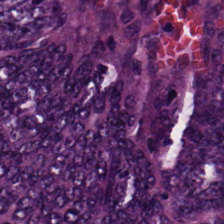H&E-stained tissue section · 224×224 px patch. Histology → colorectal adenocarcinoma epithelium.
